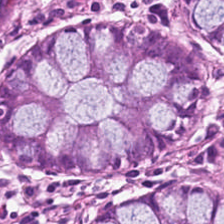H&E-stained tissue section · 0.5 µm/px.
Predominantly normal colon mucosa.
